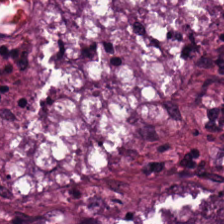Hematoxylin and eosin.
{"tissue_type": "colorectal adenocarcinoma epithelium"}
